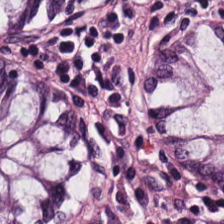Whole-slide-image patch; hematoxylin-and-eosin stained section.
Tissue class — normal colon mucosa.
